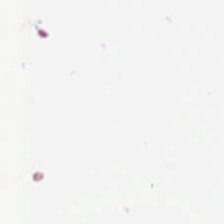Hematoxylin and eosin; 224×224 px patch.
Q: What does this patch show?
A: This is background (no tissue).
